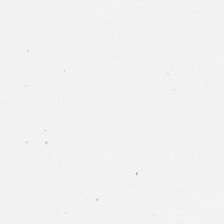224×224 pixel tile. H&E-stained tissue section — Empty field — no tissue.
